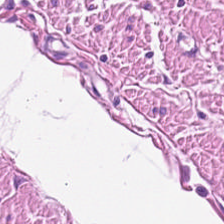Tissue class = smooth-muscle tissue.
